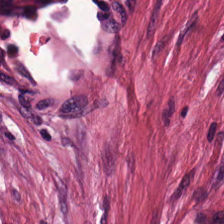H&E-stained section; the field shows tumor stroma.
